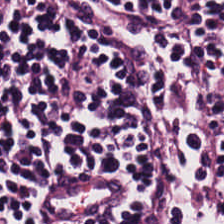Hematoxylin and eosin. 0.5 µm per pixel — Showing lymphoid infiltrate.
